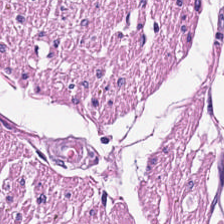0.5 µm/px. 224×224 px patch. H&E stain — Q: What is the predominant tissue type?
A: Muscularis.
